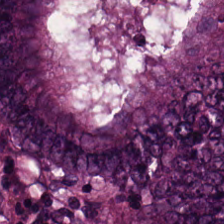Hematoxylin and eosin; 224×224 px patch. Classification = colorectal adenocarcinoma epithelium.
